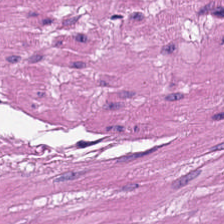Brightfield microscopy. H&E-stained tissue section. Predominantly muscularis.
